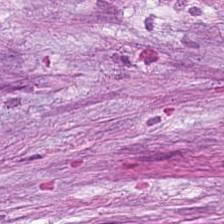Brightfield microscopy. H&E.
The tissue is tumor-associated stroma.
